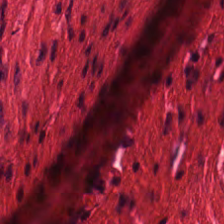Hematoxylin and eosin.
Impression — smooth-muscle tissue.
